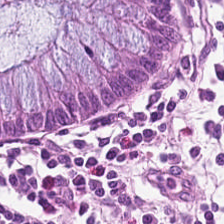H&E. Q: What tissue is shown?
A: This is non-neoplastic colon mucosa.
